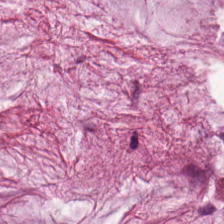H&E — mucus.
